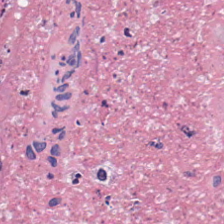H&E-stained section; the field shows debris.
